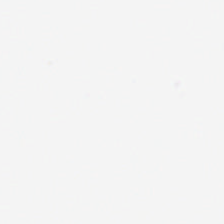Background (no tissue).
